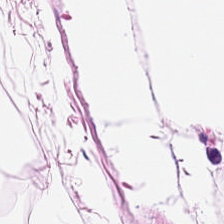Hematoxylin and eosin; FFPE tissue section — Predominant tissue = adipocytes.
